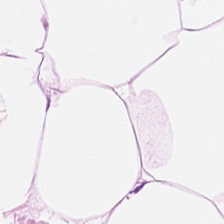Hematoxylin and eosin.
This patch shows adipocytes.
